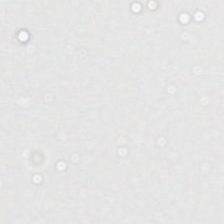H&E; 0.5 microns per pixel — Empty field — background (no tissue).
